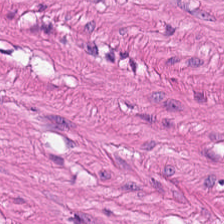Tissue type = smooth muscle.
